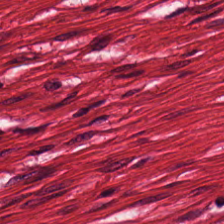Stain: hematoxylin-and-eosin stained section.
Predominant tissue: smooth muscle.
